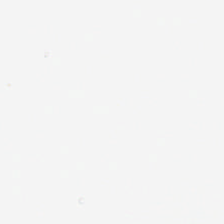Stain: hematoxylin-and-eosin stained section.
Acquisition: WSI patch.
Classification: no tissue.
